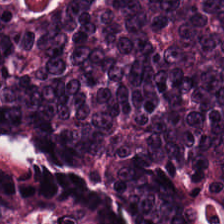Stain: H&E stain.
Resolution: 0.5 µm/px.
Tissue type: tumor epithelium.
